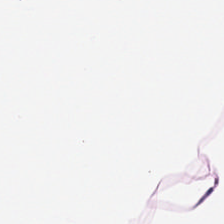224×224 px patch · 20× equivalent magnification · H&E.
Tissue class: adipose tissue.
